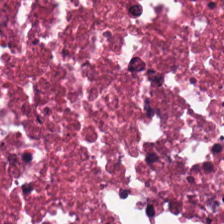Stain: hematoxylin-and-eosin stained section.
Preparation: FFPE tissue section.
Resolution: 0.5 µm per pixel.
Tissue: necrotic debris.
